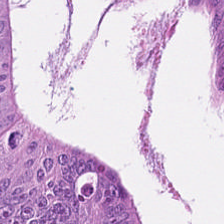H&E stain. {"tissue_type": "adenocarcinoma"}
